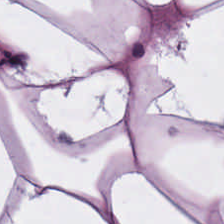H&E stain. Brightfield microscopy — The tissue class is adipose tissue.
